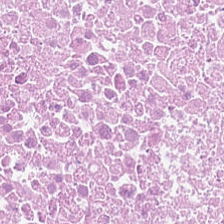H&E-stained section; the field shows debris.
